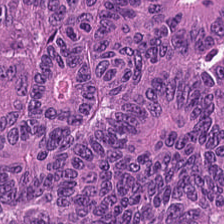The predominant tissue is malignant epithelium.
